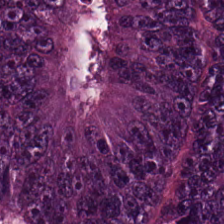Hematoxylin and eosin. Tissue class = colorectal adenocarcinoma.
